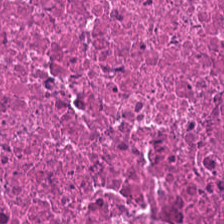0.5 µm/px · hematoxylin and eosin. Predominantly cellular debris.
